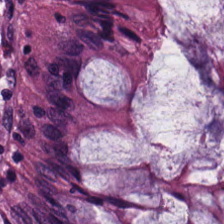Hematoxylin-and-eosin stained section. 0.5 µm/px.
Impression → non-neoplastic colon mucosa.
